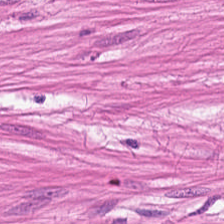Stain: H&E stain.
Predominant tissue: smooth muscle.
